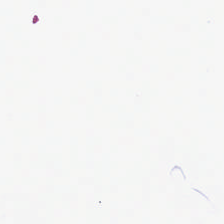Stain: hematoxylin-and-eosin stained section.
Preparation: formalin-fixed paraffin-embedded section.
Content: background (no tissue).
